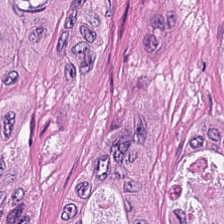H&E-stained section; the field shows adenocarcinoma.
